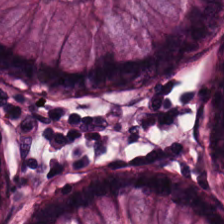224×224 pixel tile; FFPE; H&E stain.
Normal colonic mucosa.
